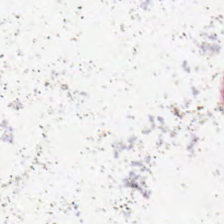Hematoxylin and eosin.
This patch shows background (no tissue).
